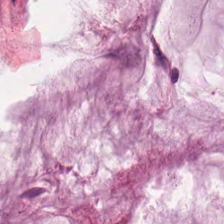Classification = mucus.
